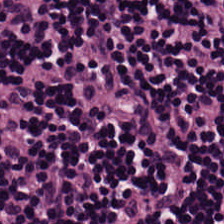Brightfield microscopy. 224×224 px patch. H&E stain.
Q: What tissue is shown?
A: It is lymphocytes.
